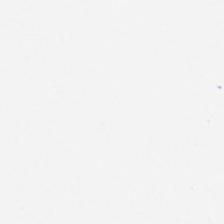Hematoxylin and eosin · FFPE — Fat tissue.
